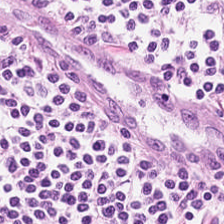Hematoxylin-and-eosin section: lymphocytes.
